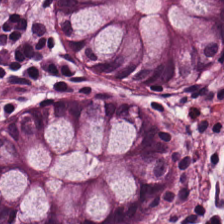Classification — normal colon mucosa.
